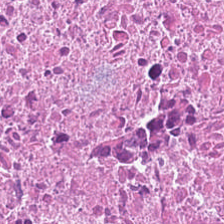Stain: H&E-stained tissue section.
Preparation: FFPE tissue section.
Acquisition: brightfield microscopy.
Classification: debris.
